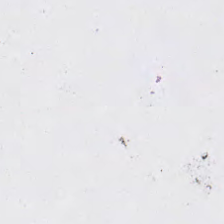H&E. Formalin-fixed paraffin-embedded section — Q: What is shown here?
A: The field shows no tissue.
